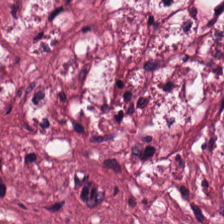H&E — tumor stroma.
